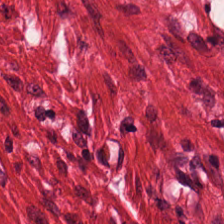Stain: H&E stain.
Tissue type: smooth muscle.
